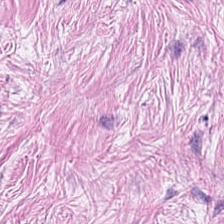Showing desmoplastic stroma.
